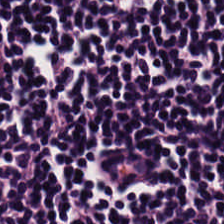WSI patch; H&E stain; FFPE tissue section.
The tissue class is lymphoid infiltrate.
